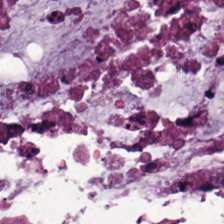H&E.
Classification — extracellular mucin.
